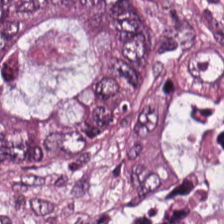H&E-stained tissue section — Tissue — malignant epithelium.
